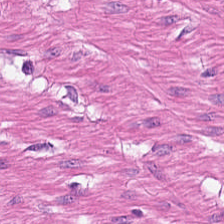FFPE; H&E stain.
Q: What is the predominant tissue type?
A: The field shows smooth-muscle tissue.
